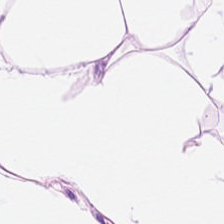Hematoxylin-and-eosin stained section. FFPE tissue section.
Histology → adipose.
